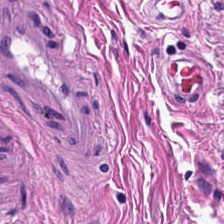Hematoxylin and eosin. 0.5 µm per pixel.
The predominant tissue is muscularis.
